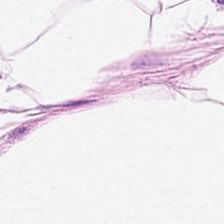H&E-stained tissue section.
Q: What is the predominant tissue type?
A: It is adipocytes.
